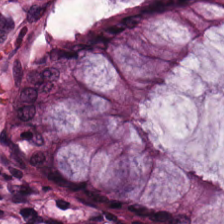{"tissue_type": "benign colonic mucosa"}
